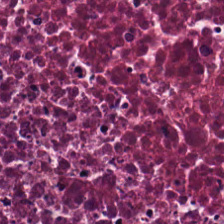H&E stain — Predominant tissue — debris.
